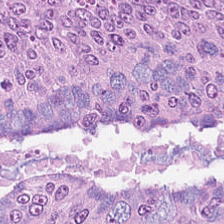Showing tumor epithelium.
